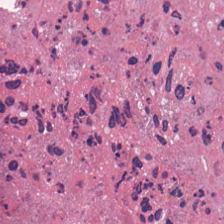H&E stain. {"tissue_type": "debris"}
